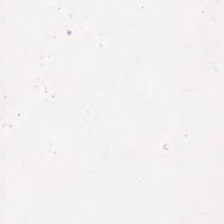H&E stain · FFPE — {"tissue_type": "debris"}
